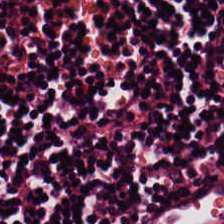Tissue = lymphocyte aggregate.
